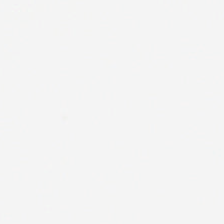H&E-stained tissue section. Background.
